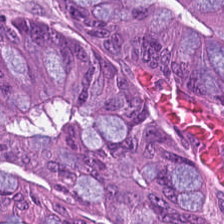H&E; 224×224 px tile. Predominantly tumor epithelium.
